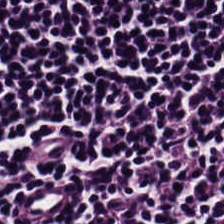Brightfield microscopy. H&E. 0.5 µm/px — Histology — lymphoid infiltrate.
